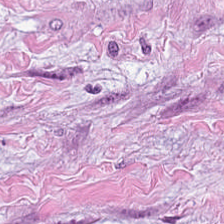Hematoxylin-and-eosin stained section · 224×224 px patch · 0.5 microns per pixel.
Tissue: tumor-associated stroma.
